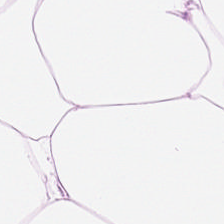H&E.
Finding — adipocytes.
